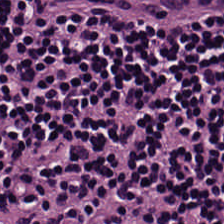FFPE · 0.5 microns per pixel · hematoxylin and eosin — The predominant tissue is lymphocytic infiltrate.
